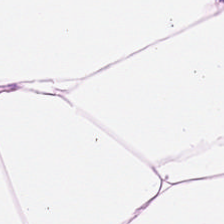Hematoxylin-and-eosin stained section — The tissue class is adipose.
